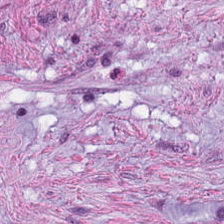Hematoxylin-and-eosin stained section — Showing tumor-associated stroma.
